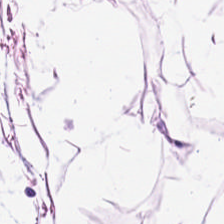Hematoxylin and eosin. Showing fat tissue.
